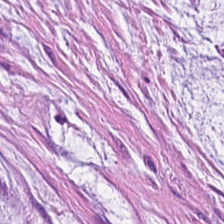224×224 px patch · hematoxylin and eosin — Classification: mucus.
